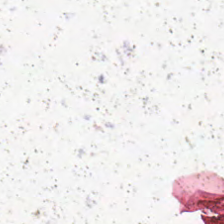Stain: H&E-stained tissue section.
Tile size: 224×224 px patch.
Field content: no tissue.
